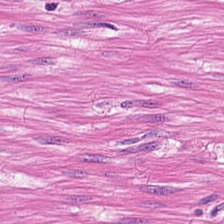H&E-stained tissue section. 224×224 px patch. Formalin-fixed paraffin-embedded section — The tissue here is muscularis.
